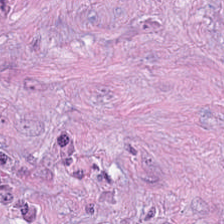Hematoxylin-and-eosin stained section.
Q: What tissue type is shown here?
A: Desmoplastic stroma.
